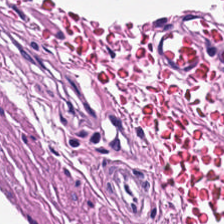FFPE · hematoxylin-and-eosin stained section — Q: What tissue type is shown here?
A: Muscularis.
